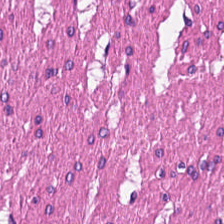Hematoxylin-and-eosin stained section. {"tissue_type": "muscularis"}
